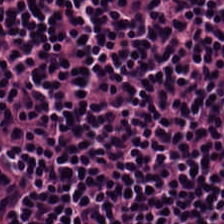Hematoxylin and eosin · 224×224 px patch.
Lymphocytes.
